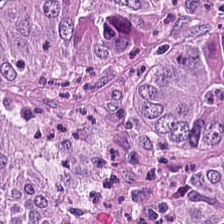Hematoxylin and eosin. This patch shows colorectal adenocarcinoma epithelium.
